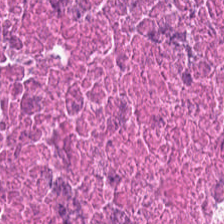Stain: H&E stain.
Tissue: cellular debris.
